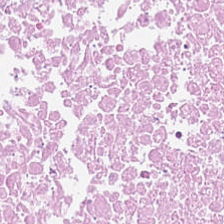H&E stain · 0.5 microns per pixel.
The tissue is necrotic debris.
